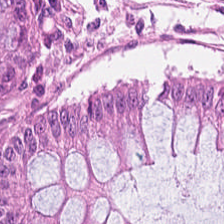Hematoxylin-and-eosin stained section. 224×224 px tile — The tissue class is normal colonic mucosa.
